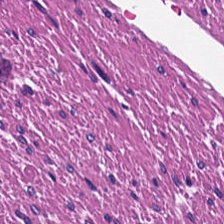FFPE tissue section · H&E stain — The tissue is smooth-muscle tissue.
